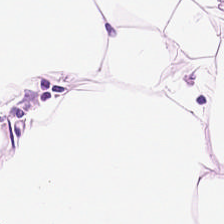H&E-stained tissue section.
Q: Identify the tissue.
A: Adipose tissue.
